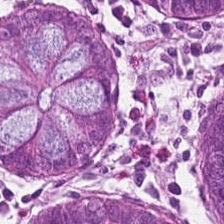The tissue is normal colon mucosa.
